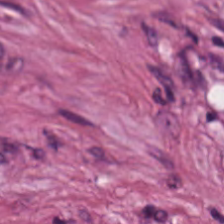Stain: H&E stain.
Classification: tumor stroma.
